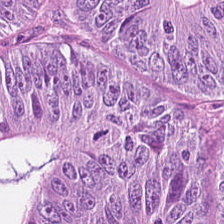Tissue type: colorectal adenocarcinoma.
